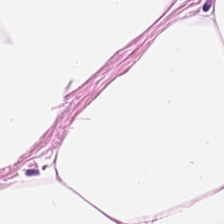The tissue class is adipocytes.
